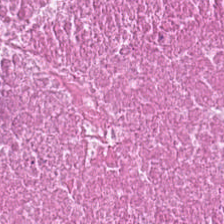H&E stain. Q: What tissue is shown?
A: This is necrotic debris.
